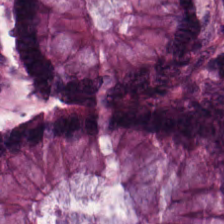Hematoxylin and eosin. Tissue class = normal colon mucosa.
